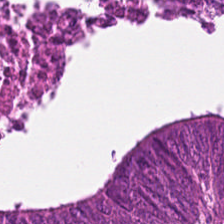Q: What is the predominant tissue type?
A: It is malignant epithelium.
